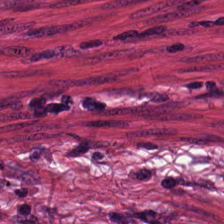H&E. 224×224 px tile. FFPE — Tissue type — desmoplastic stroma.
